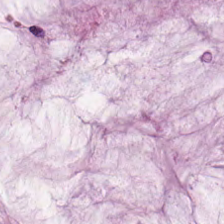Stain: H&E stain.
Tissue: extracellular mucin.
